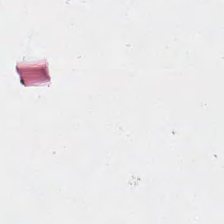H&E · FFPE tissue section — Impression — background (no tissue).
